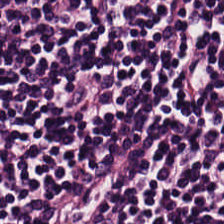Finding → lymphocytic infiltrate.
